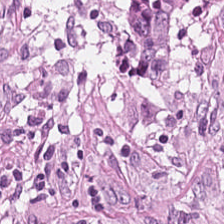Predominantly desmoplastic stroma.
